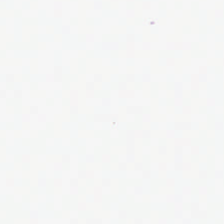Hematoxylin and eosin.
Finding — no tissue.
